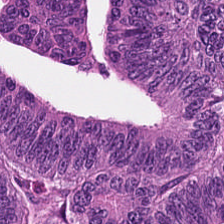224×224 pixel tile · H&E — Q: Identify the tissue.
A: This is tumor epithelium.
